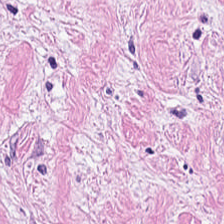Q: What is the predominant tissue type?
A: It is tumor-associated stroma.
